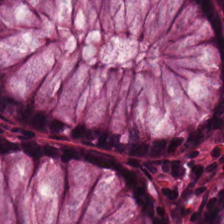Stain: hematoxylin and eosin.
Predominant tissue: normal colonic mucosa.
